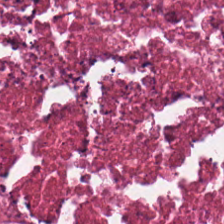Stain: hematoxylin-and-eosin stained section.
Acquisition: whole-slide-image patch.
Tile size: 224×224 px tile.
Tissue type: necrotic debris.
